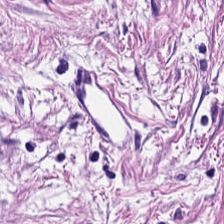Q: What is shown in this field?
A: It is tumor-associated stroma.
